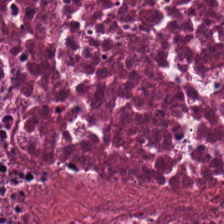H&E — The tissue here is debris.
